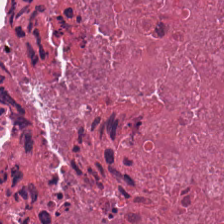The predominant tissue is cellular debris.
